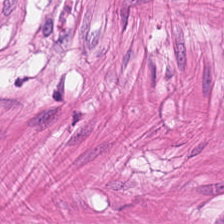Stain: H&E-stained tissue section.
Tissue class: smooth muscle.
